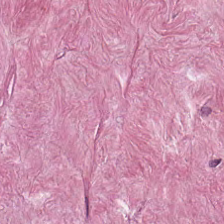Histology → tumor-associated stroma.
